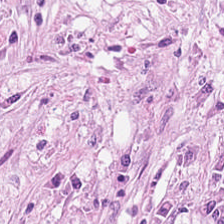Hematoxylin-and-eosin stained section. Q: What tissue type is shown here?
A: It is cancer-associated stroma.
